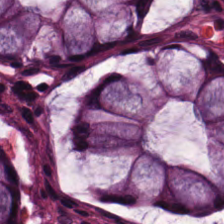H&E stain; brightfield microscopy; 224×224 px patch — Finding — benign colonic mucosa.
